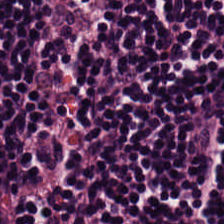H&E-stained tissue section. The predominant tissue is lymphocytic infiltrate.
